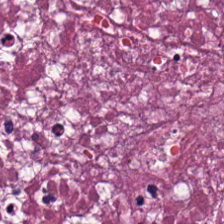H&E-stained tissue section. 224×224 px tile. 20× equivalent magnification — The predominant tissue is necrotic debris.
